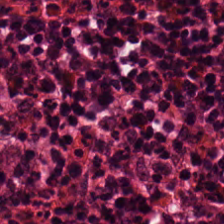H&E stain.
Q: What tissue is shown?
A: The field shows normal colonic mucosa.
